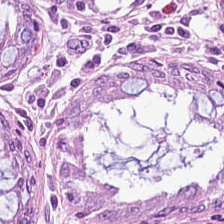H&E; FFPE. The predominant tissue is non-neoplastic colon mucosa.
